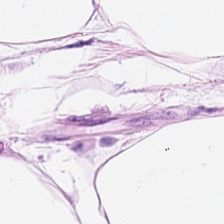FFPE. Hematoxylin-and-eosin stained section — This patch shows fat tissue.
